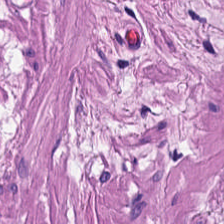Finding — smooth-muscle tissue.
